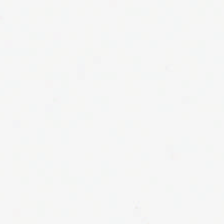Brightfield microscopy · H&E — Field content — no tissue.
